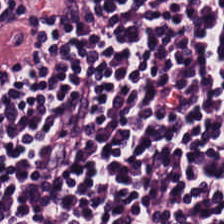H&E-stained tissue section; 0.5 µm/px — Tissue type: lymphocytic infiltrate.
